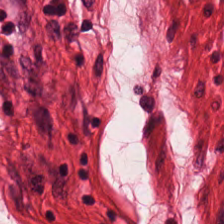H&E stain; 20× equivalent magnification — Q: What type of tissue is this?
A: The field shows smooth-muscle tissue.
